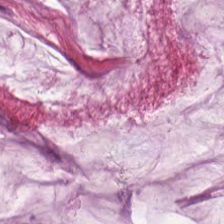H&E-stained tissue section showing mucus.
